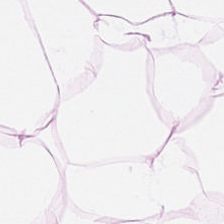H&E. Adipose tissue.
